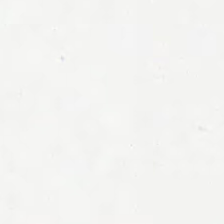Stain: hematoxylin and eosin.
Field content: empty background.
